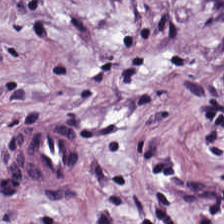The classification is cancer-associated stroma.
